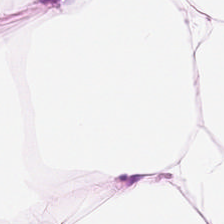Stain: H&E.
Preparation: FFPE.
Classification: adipocytes.
